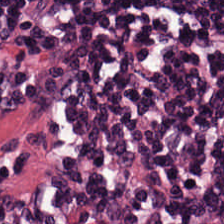Classification: lymphocyte aggregate.
